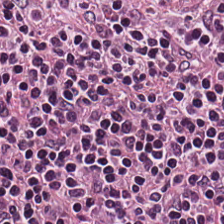WSI patch. 224×224 pixel tile. Hematoxylin-and-eosin stained section — Tissue — lymphocytic infiltrate.
